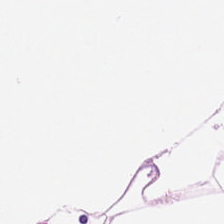Classification = adipose tissue.
